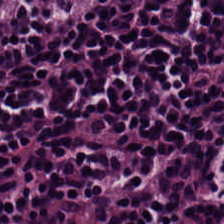Hematoxylin and eosin. Q: What is shown here?
A: Lymphocytic infiltrate.
